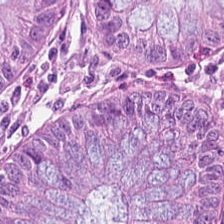Classification — benign colonic mucosa.
